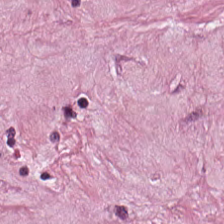Hematoxylin-and-eosin stained section. Finding — cancer-associated stroma.
